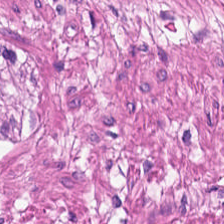H&E. This patch shows smooth-muscle tissue.
